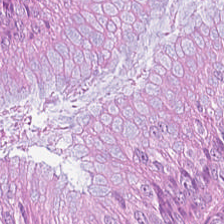Stain: hematoxylin and eosin.
Preparation: FFPE.
Classification: malignant epithelium.
